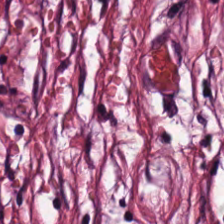224×224 px tile; H&E stain; formalin-fixed paraffin-embedded section. The tissue here is tumor stroma.
